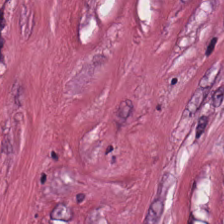WSI patch · H&E stain · 0.5 µm/px. Q: What type of tissue is this?
A: This is tumor-associated stroma.
